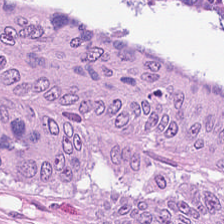Hematoxylin-and-eosin stained section.
This field is tumor epithelium.
